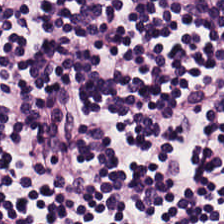Impression — lymphocytes.
